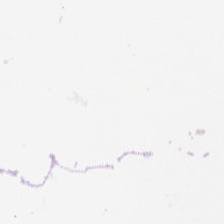Hematoxylin-and-eosin stained section. Empty field — background.
